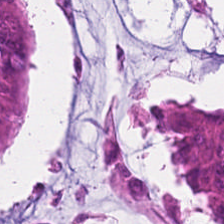0.5 µm per pixel; H&E stain. The predominant tissue is colorectal adenocarcinoma.
